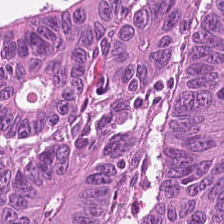Hematoxylin-and-eosin section: malignant epithelium.
